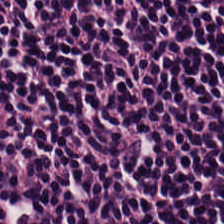Tissue class — lymphoid infiltrate.
